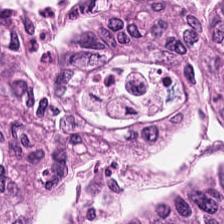Hematoxylin-and-eosin stained section. Colorectal adenocarcinoma.
